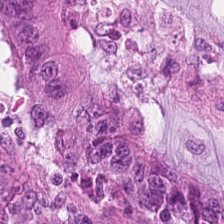The tissue type is colorectal adenocarcinoma epithelium.
